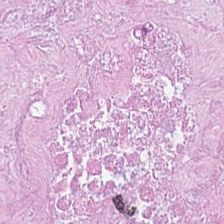Hematoxylin-and-eosin stained section. The classification is cellular debris.
